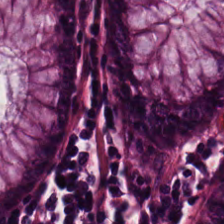H&E-stained tissue section.
Predominantly non-neoplastic colon mucosa.
